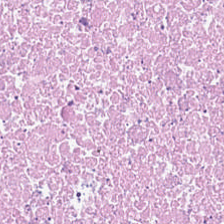H&E.
Q: What is the predominant tissue type?
A: This is cellular debris.
